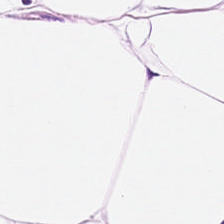Predominant tissue = adipose tissue.
